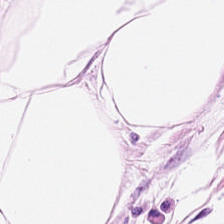H&E-stained tissue section.
Histology — adipose tissue.
